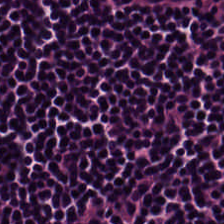Predominantly lymphoid infiltrate.
